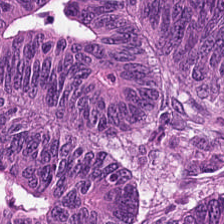Stain: hematoxylin-and-eosin stained section.
Predominant tissue: adenocarcinoma.
